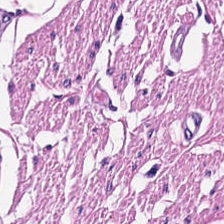Stain: hematoxylin-and-eosin stained section.
Acquisition: WSI patch.
Tissue: smooth muscle.
